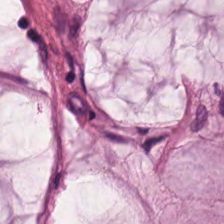Q: What tissue type is shown here?
A: Mucus.
